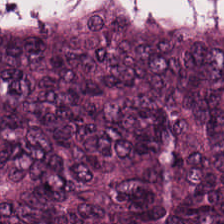Hematoxylin-and-eosin stained section. The tissue class is tumor epithelium.
